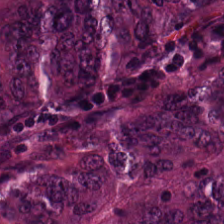Q: What does this patch show?
A: It is malignant epithelium.
